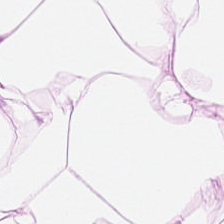Brightfield; H&E stain; FFPE.
Predominantly fat tissue.
